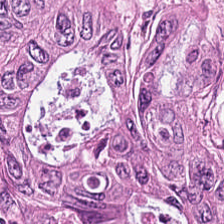H&E-stained tissue section — Histology — malignant epithelium.
